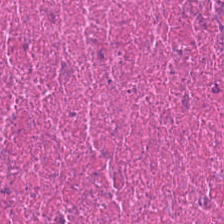The predominant tissue is debris.
